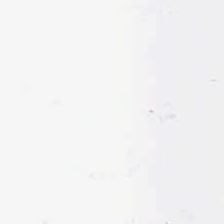Hematoxylin and eosin.
The content is background.
